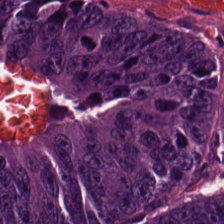H&E-stained tissue section. Q: Classify this patch.
A: This is adenocarcinoma.
